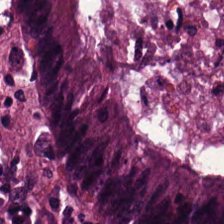H&E-stained tissue section; 224×224 px tile — Colorectal adenocarcinoma epithelium.
